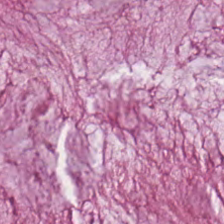H&E-stained tissue section — Classification: mucus.
